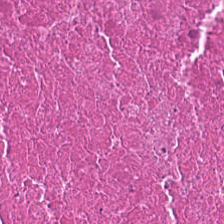{"tissue_type": "necrotic debris"}
